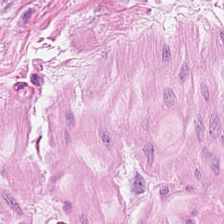H&E.
Finding → smooth-muscle tissue.
